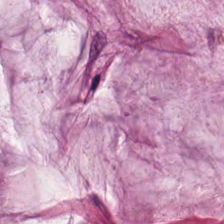Tissue class: mucus.
